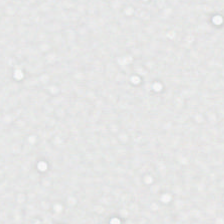0.5 µm per pixel; H&E stain — Classification = empty background.
